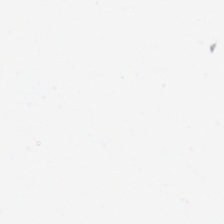H&E-stained tissue section; brightfield.
Classification — background.
